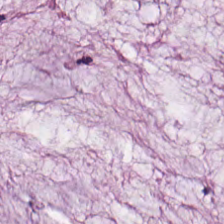H&E — mucin.
